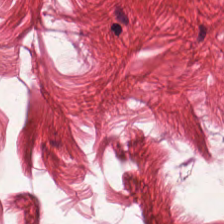224×224 pixel tile; H&E-stained tissue section. Smooth muscle.
